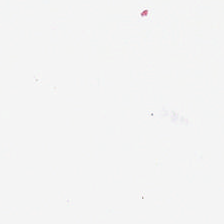H&E stain · 0.5 microns per pixel · formalin-fixed paraffin-embedded section — Finding → empty background.
